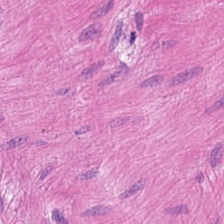Tissue class = muscularis.
